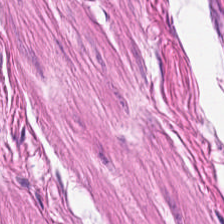FFPE. Hematoxylin-and-eosin stained section. Predominantly smooth-muscle tissue.
